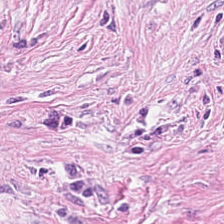Q: What does this patch show?
A: The field shows cancer-associated stroma.
